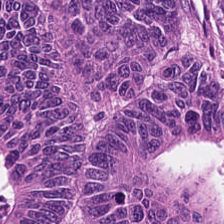0.5 microns per pixel · H&E-stained tissue section. Tissue type = malignant epithelium.
